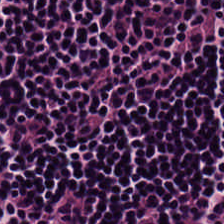0.5 µm/px; H&E — Histology — lymphocyte aggregate.
